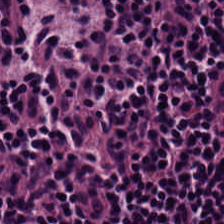Stain: hematoxylin-and-eosin stained section.
Classification: lymphocyte aggregate.
